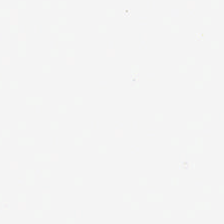H&E. WSI patch.
This field is background (no tissue).
